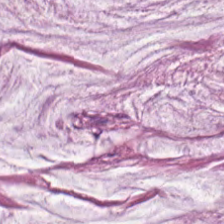Hematoxylin-and-eosin stained section · 224×224 pixel tile · FFPE. Tissue class — mucus.
